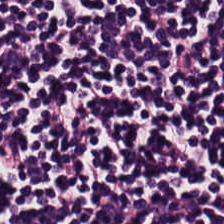FFPE tissue section. H&E-stained tissue section.
The predominant tissue is lymphocyte aggregate.
